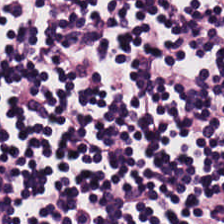Hematoxylin-and-eosin stained section. Tissue type: lymphocytes.
